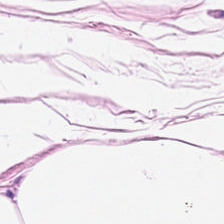Hematoxylin-and-eosin stained section.
Q: What tissue is shown?
A: Fat tissue.
